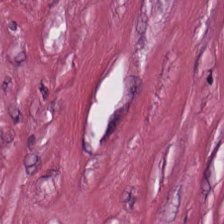H&E-stained tissue section. Tissue class — tumor-associated stroma.
